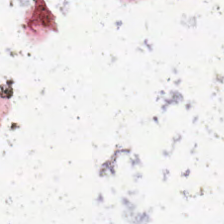Hematoxylin and eosin. Empty field — empty background.
